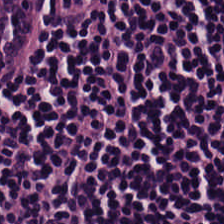Hematoxylin and eosin.
Showing lymphocyte aggregate.
